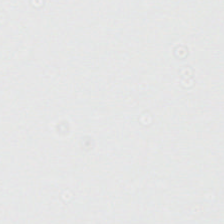H&E. FFPE. {"content": "background"}
